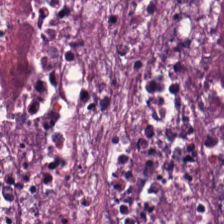H&E-stained tissue section; FFPE. {"tissue_type": "necrotic debris"}
